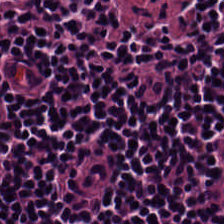H&E stain.
This patch shows lymphocytic infiltrate.
